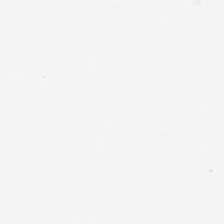H&E-stained tissue section; whole-slide-image patch; FFPE. Impression → background (no tissue).
